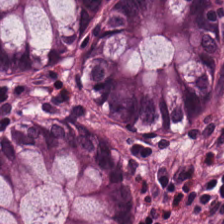Predominantly non-neoplastic colon mucosa.
